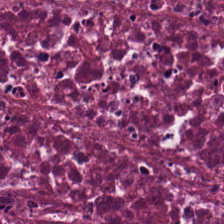Q: Identify the tissue.
A: It is debris.
